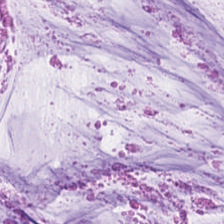0.5 µm per pixel · hematoxylin and eosin — The tissue here is mucus.
